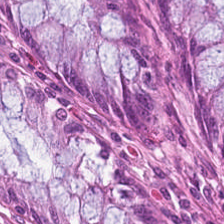20× equivalent magnification · H&E-stained tissue section.
The predominant tissue is normal colon mucosa.
